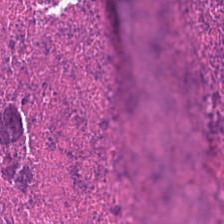H&E stain; WSI patch; 0.5 µm per pixel — This patch shows debris.
